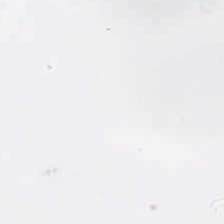224×224 px tile. H&E stain — Q: What is shown here?
A: It is empty background.
